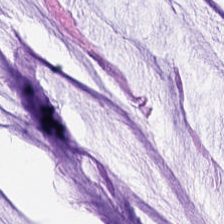H&E — Tissue type: extracellular mucin.
